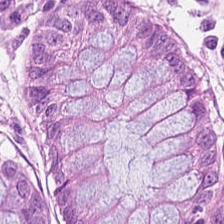FFPE · H&E-stained tissue section. The predominant tissue is non-neoplastic colon mucosa.
